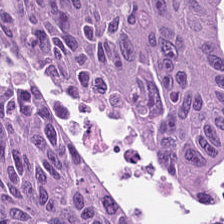H&E — The tissue class is tumor epithelium.
